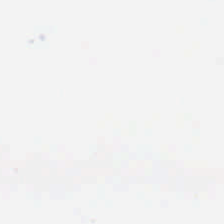This patch shows background.
